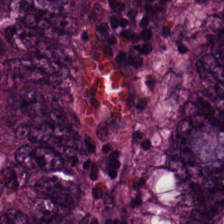H&E stain. Q: Classify this patch.
A: The field shows colorectal adenocarcinoma epithelium.
